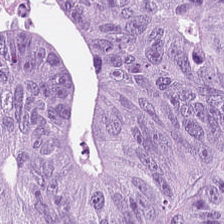Tissue type: adenocarcinoma.
